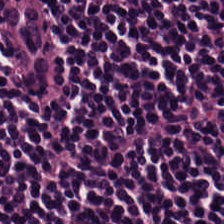Lymphoid infiltrate.
